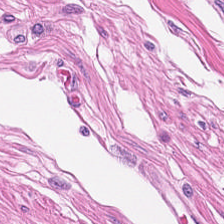20× equivalent magnification. H&E stain. Showing smooth muscle.
